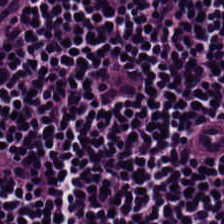H&E-stained tissue section.
Classification — lymphocytes.
